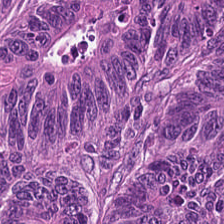Stain: H&E stain.
Tissue type: colorectal adenocarcinoma.
